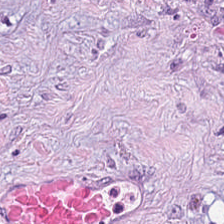Hematoxylin-and-eosin section: cancer-associated stroma.
